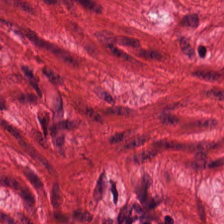Q: What is the predominant tissue type?
A: Smooth-muscle tissue.
